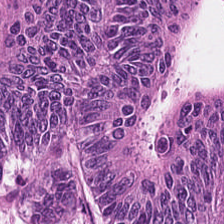Q: Classify this patch.
A: The field shows adenocarcinoma.
